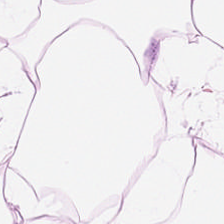Brightfield microscopy · formalin-fixed paraffin-embedded section · H&E-stained tissue section. Classification = adipose tissue.
